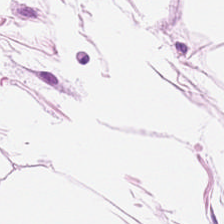H&E-stained section; the field shows fat tissue.
